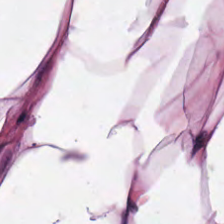Stain: H&E-stained tissue section.
Preparation: formalin-fixed paraffin-embedded section.
Classification: adipocytes.
